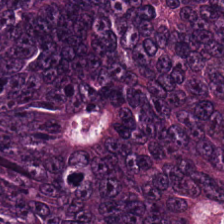H&E patch showing tumor epithelium.
